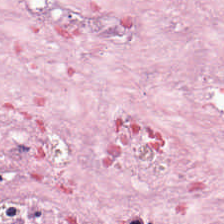FFPE · H&E. This field is tumor stroma.
